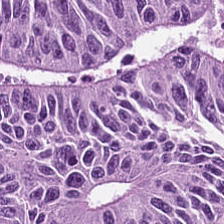H&E stain — This patch shows colorectal adenocarcinoma.
